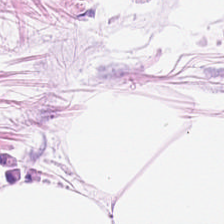0.5 µm/px · H&E stain · brightfield microscopy.
This patch shows adipose tissue.
